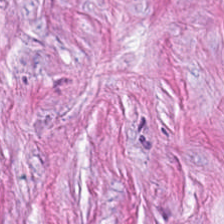The tissue is cancer-associated stroma.
